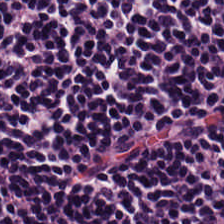Hematoxylin-and-eosin stained section — Tissue — lymphocytic infiltrate.
